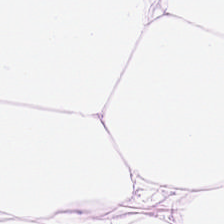Hematoxylin and eosin — The tissue here is adipocytes.
